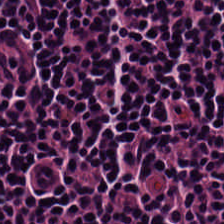Hematoxylin and eosin — Classification — lymphoid infiltrate.
